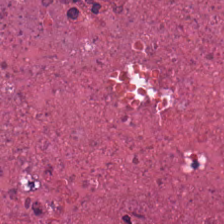Whole-slide-image patch; 0.5 µm per pixel; H&E-stained tissue section.
Tissue class: necrotic debris.
